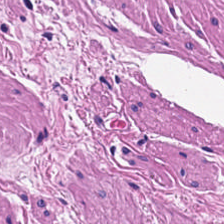H&E stain. 224×224 pixel tile — Q: What is shown here?
A: This is smooth muscle.
